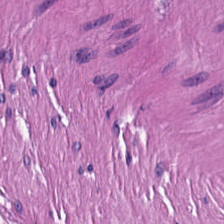H&E.
Classification = muscularis.
